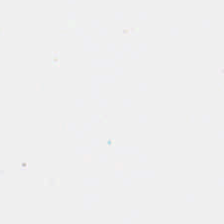Hematoxylin and eosin; 224×224 px patch.
Classification: no tissue.
